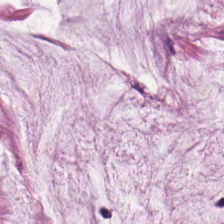0.5 µm per pixel. H&E stain — Q: What tissue is shown?
A: The field shows mucus.
